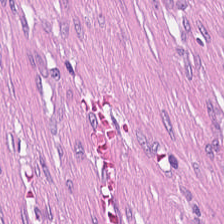Stain: hematoxylin-and-eosin stained section.
Acquisition: WSI patch.
Predominant tissue: tumor-associated stroma.
